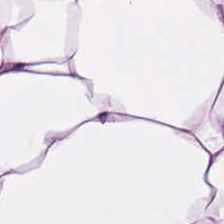Stain: H&E stain.
Tissue: adipose tissue.
